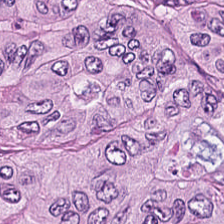Predominant tissue: colorectal adenocarcinoma epithelium.
